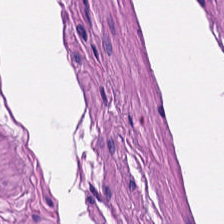H&E stain. Formalin-fixed paraffin-embedded section.
Tissue — smooth muscle.
